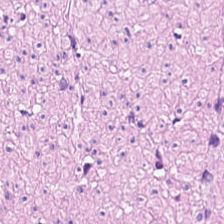The tissue class is smooth muscle.
